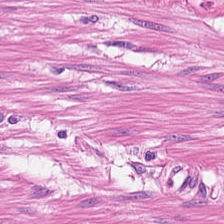224×224 pixel tile. Whole-slide-image patch. H&E stain.
This patch shows smooth-muscle tissue.
